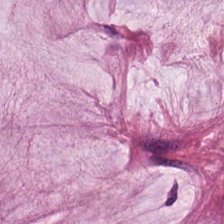Hematoxylin-and-eosin stained section. The tissue class is mucin.
